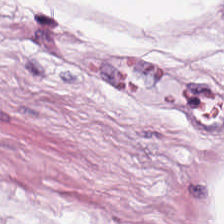Hematoxylin and eosin — Finding → fat tissue.
